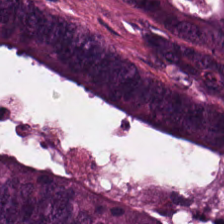H&E stain. Q: Classify this patch.
A: Colorectal adenocarcinoma.
